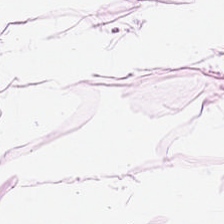Stain: hematoxylin-and-eosin stained section.
Classification: adipose tissue.
